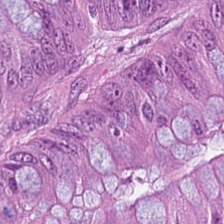H&E-stained tissue section.
Showing colorectal adenocarcinoma.
